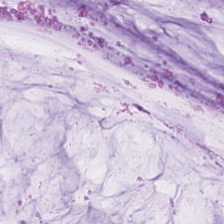Hematoxylin-and-eosin stained section · 0.5 µm/px · whole-slide-image patch — Q: What tissue type is shown here?
A: Extracellular mucin.
